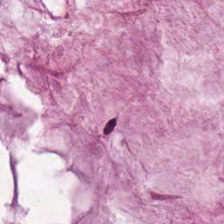H&E stain.
The predominant tissue is mucus.
